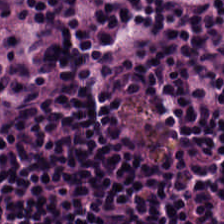H&E-stained tissue section · 224×224 px patch — Predominant tissue: lymphocytes.
